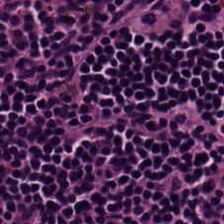The tissue here is lymphoid infiltrate.
